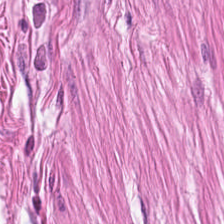H&E stain. Tissue type = muscularis.
